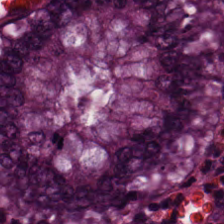H&E. This field is non-neoplastic colon mucosa.
